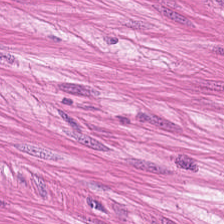Hematoxylin-and-eosin stained section. The classification is smooth muscle.
